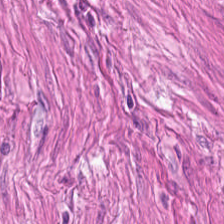Hematoxylin and eosin — The classification is muscularis.
